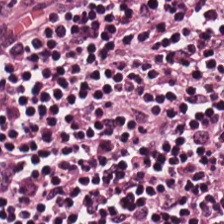H&E-stained tissue section.
Q: What tissue type is shown here?
A: The field shows lymphocytes.
